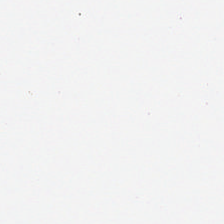0.5 microns per pixel · H&E-stained tissue section — Impression — background (no tissue).
